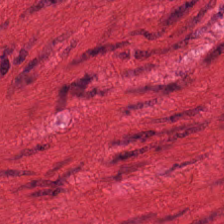The tissue class is muscularis.
